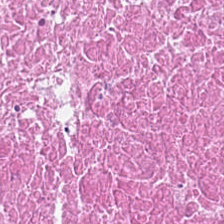Q: What is the predominant tissue type?
A: This is debris.
